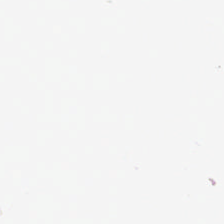224×224 px tile; H&E stain.
Q: What is shown in this field?
A: It is no tissue.
